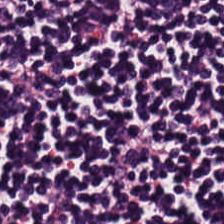Formalin-fixed paraffin-embedded section · H&E-stained tissue section — Q: What tissue type is shown here?
A: Lymphocytic infiltrate.
